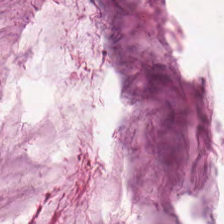0.5 µm per pixel; hematoxylin-and-eosin stained section; formalin-fixed paraffin-embedded section. {"tissue_type": "mucus"}
